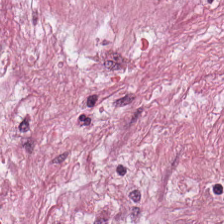Hematoxylin-and-eosin section: tumor-associated stroma.
